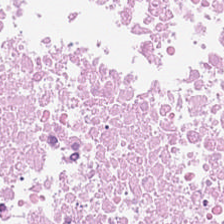H&E. Tissue type — cellular debris.
